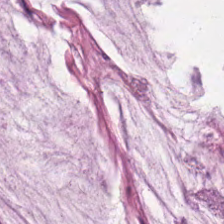H&E-stained tissue section; brightfield microscopy.
Mucus.
